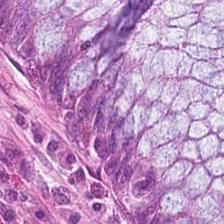20× equivalent magnification · hematoxylin-and-eosin stained section · whole-slide-image patch.
Impression → normal colon mucosa.
